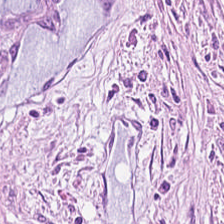224×224 pixel tile · H&E stain · FFPE tissue section — The tissue here is tumor-associated stroma.
